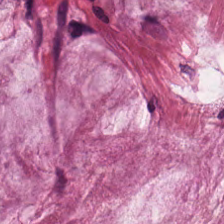H&E-stained tissue section. 224×224 px tile — The predominant tissue is extracellular mucin.
